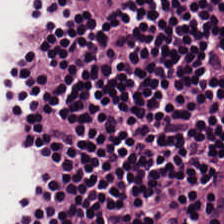Stain: hematoxylin and eosin.
Tissue type: lymphoid infiltrate.
